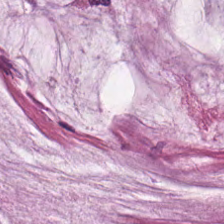FFPE tissue section · 0.5 µm/px · hematoxylin and eosin.
Tissue class: mucus.
